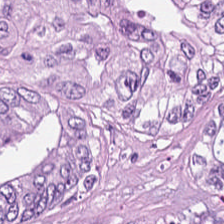Stain: H&E-stained tissue section.
Tissue type: colorectal adenocarcinoma epithelium.
